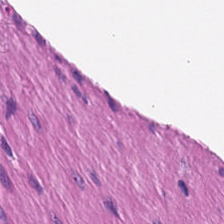Hematoxylin-and-eosin stained section. {"tissue_type": "smooth muscle"}
